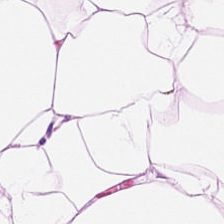Showing adipose tissue.
